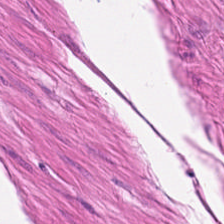224×224 px patch. H&E stain. FFPE tissue section. Q: What is the predominant tissue type?
A: Smooth-muscle tissue.
